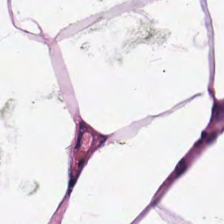Hematoxylin and eosin. Q: What is shown in this field?
A: Adipocytes.
